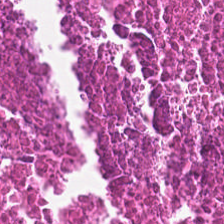Predominant tissue — necrotic debris.
